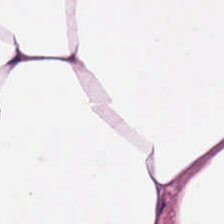Hematoxylin and eosin · 0.5 µm per pixel. Q: What is the predominant tissue type?
A: Fat tissue.
